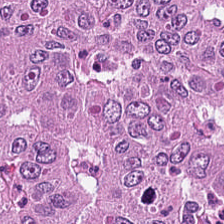The predominant tissue is colorectal adenocarcinoma.
